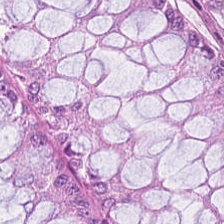Hematoxylin-and-eosin stained section; FFPE tissue section.
Showing normal colonic mucosa.
